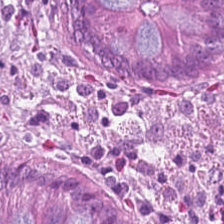H&E — {"tissue_type": "normal colonic mucosa"}
